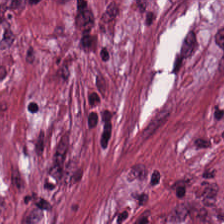H&E-stained tissue section.
This patch shows desmoplastic stroma.
